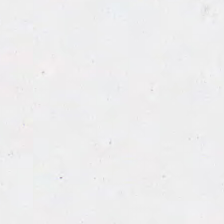Background — no tissue in this field.
